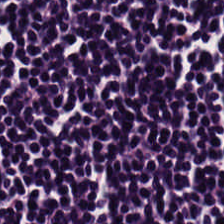Stain: hematoxylin-and-eosin stained section.
Tissue type: lymphoid infiltrate.
